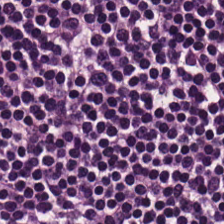The predominant tissue is lymphoid infiltrate.
